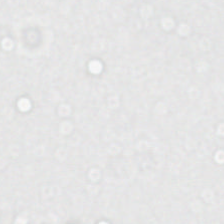H&E.
The field content is no tissue.
